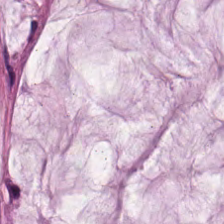The tissue here is mucin.
